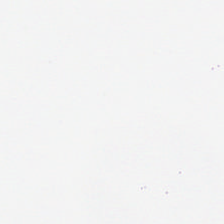H&E stain · FFPE.
Histology → empty background.
